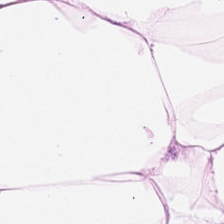Stain: hematoxylin-and-eosin stained section.
Tissue: fat tissue.
